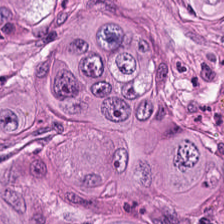H&E-stained tissue section. This field is tumor epithelium.
